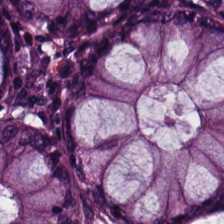H&E-stained tissue section.
Predominant tissue = normal colonic mucosa.
